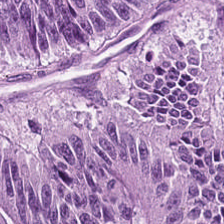Hematoxylin-and-eosin stained section.
The tissue type is colorectal adenocarcinoma epithelium.
